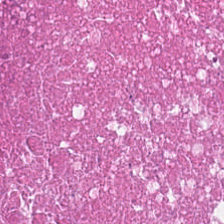H&E-stained tissue section.
{"tissue_type": "necrotic debris"}
